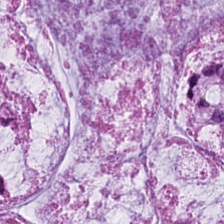224×224 pixel tile. H&E.
Histology — mucus.
